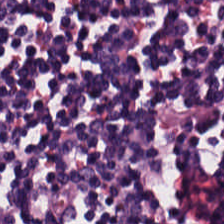Predominantly lymphocyte aggregate.
